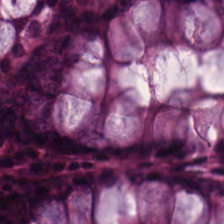Formalin-fixed paraffin-embedded section; hematoxylin and eosin. This field is benign colonic mucosa.
